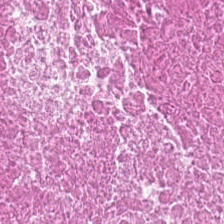Stain: H&E.
Predominant tissue: debris.
